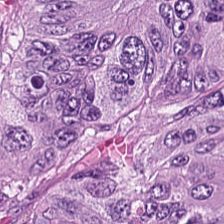Stain: H&E.
Preparation: formalin-fixed paraffin-embedded section.
Classification: adenocarcinoma.
